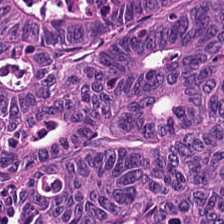Classification = tumor epithelium.
